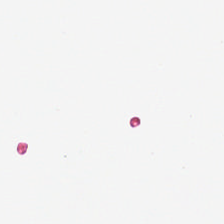Stain: H&E-stained tissue section.
Classification: empty background.
